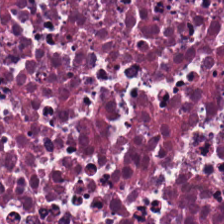H&E-stained tissue section · WSI patch.
The tissue here is necrotic debris.
